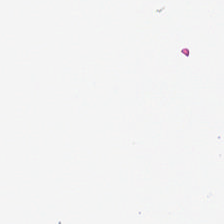Hematoxylin and eosin. Background — no tissue in this field.
